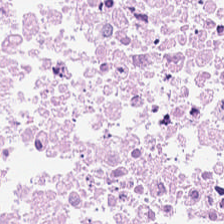Hematoxylin-and-eosin stained section. FFPE.
Tissue type: necrotic debris.
